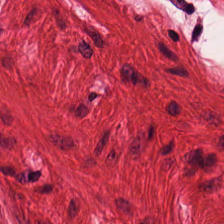This patch shows muscularis.
